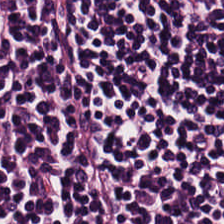H&E-stained tissue section — The classification is lymphoid infiltrate.
